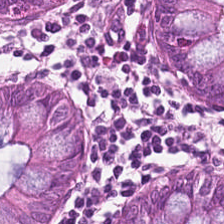Hematoxylin-and-eosin stained section. FFPE. Histology → normal colonic mucosa.
